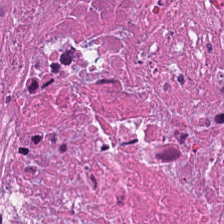Hematoxylin and eosin.
Q: What type of tissue is this?
A: Necrotic debris.
